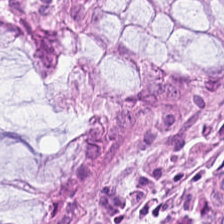H&E stain.
Predominantly normal colonic mucosa.
